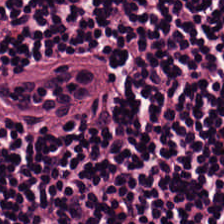Hematoxylin-and-eosin stained section · formalin-fixed paraffin-embedded section.
Predominant tissue = lymphocytic infiltrate.
